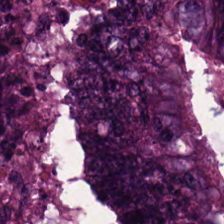0.5 microns per pixel; hematoxylin-and-eosin stained section; formalin-fixed paraffin-embedded section.
Colorectal adenocarcinoma.
